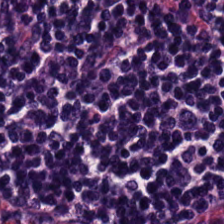This patch shows lymphoid infiltrate.
